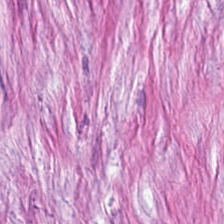Predominant tissue: desmoplastic stroma.
